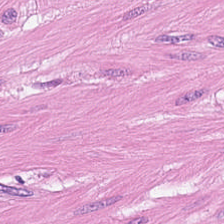Hematoxylin-and-eosin stained section · whole-slide-image patch. The tissue type is muscularis.
